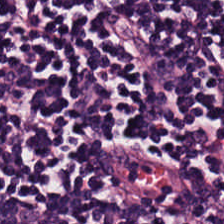Q: What tissue type is shown here?
A: The field shows lymphocytic infiltrate.
